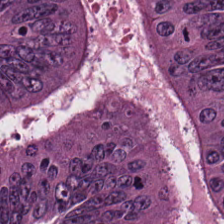FFPE tissue section · H&E stain. Classification: malignant epithelium.
